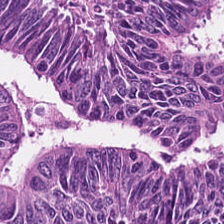H&E. 224×224 px patch. Brightfield.
Tissue: adenocarcinoma.
